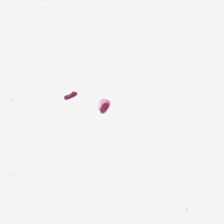Brightfield microscopy · hematoxylin-and-eosin stained section — Q: What is shown in this field?
A: This is empty background.
